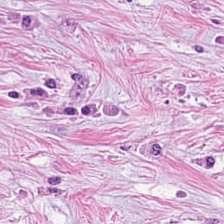Hematoxylin-and-eosin stained section.
Q: Classify this patch.
A: The field shows desmoplastic stroma.
